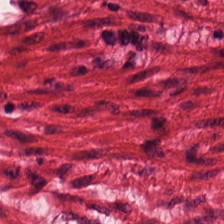Formalin-fixed paraffin-embedded section · H&E-stained tissue section · 0.5 µm per pixel. Tissue class — smooth muscle.
